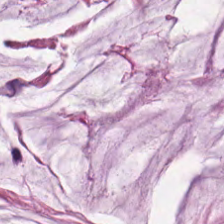H&E-stained tissue section. The predominant tissue is extracellular mucin.
